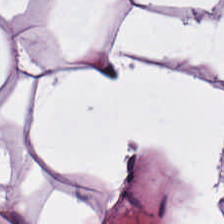Hematoxylin-and-eosin stained section — Tissue class: fat tissue.
